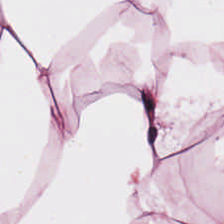H&E stain. Histology — fat tissue.
